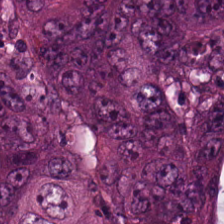H&E stain.
{"tissue_type": "colorectal adenocarcinoma"}
